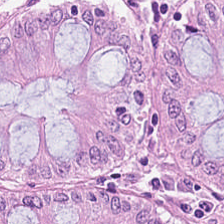224×224 px tile. FFPE tissue section. Hematoxylin and eosin.
Q: What tissue type is shown here?
A: It is non-neoplastic colon mucosa.
